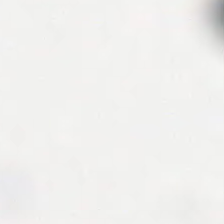Empty field — background (no tissue).
